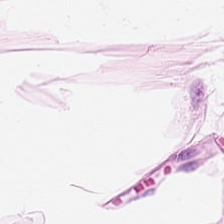The tissue class is fat tissue.
